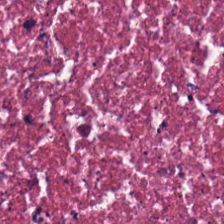Hematoxylin and eosin · 224×224 px patch · whole-slide-image patch.
This field is necrotic debris.
